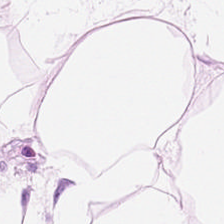H&E-stained tissue section. The predominant tissue is adipocytes.
